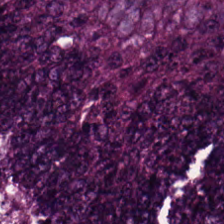Hematoxylin and eosin; whole-slide-image patch. Q: What tissue type is shown here?
A: The field shows colorectal adenocarcinoma epithelium.
